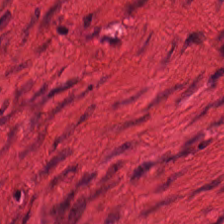Tissue type: smooth muscle.
